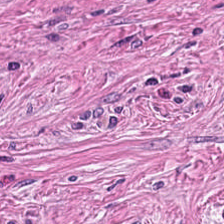H&E. Brightfield. This patch shows desmoplastic stroma.
